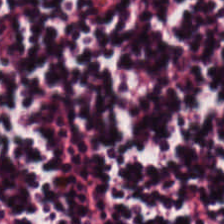H&E stain.
Q: What is shown in this field?
A: The field shows lymphocyte aggregate.
